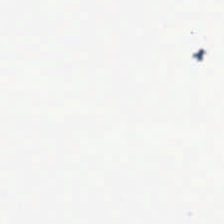Finding — background (no tissue).
